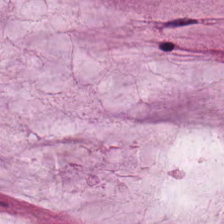Brightfield microscopy. FFPE tissue section. H&E-stained tissue section. Tissue: extracellular mucin.
